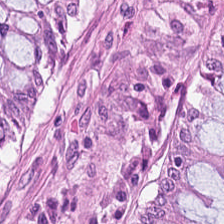224×224 px patch; H&E stain — Predominant tissue: normal colon mucosa.
